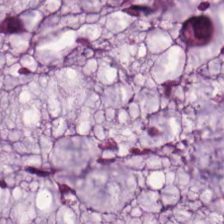{"tissue_type": "extracellular mucin"}
